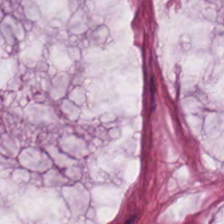0.5 µm/px · hematoxylin and eosin. {"tissue_type": "mucus"}
